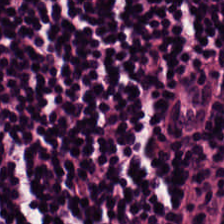The tissue type is lymphoid infiltrate.
